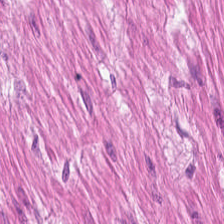H&E-stained tissue section showing muscularis.
